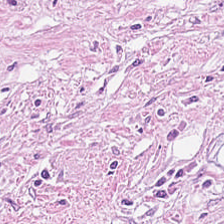224×224 pixel tile; hematoxylin and eosin. Classification: tumor-associated stroma.
